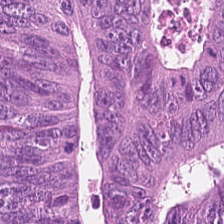224×224 px patch; H&E stain. Tissue class = colorectal adenocarcinoma epithelium.
